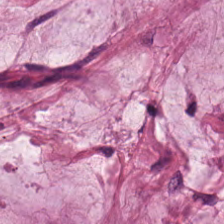H&E-stained tissue section · 0.5 µm per pixel · whole-slide-image patch.
This patch shows mucus.
